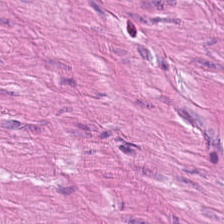Tissue — smooth muscle.
